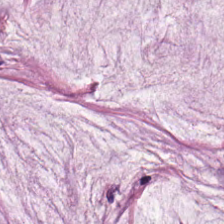H&E-stained tissue section.
Extracellular mucin.
